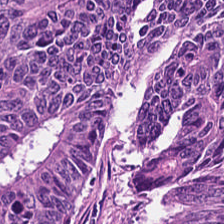The predominant tissue is adenocarcinoma.
